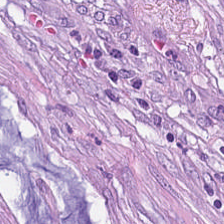Stain: H&E.
Tissue type: tumor stroma.
